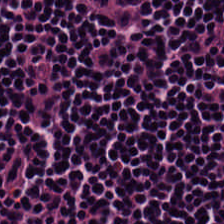The tissue type is lymphocytes.
